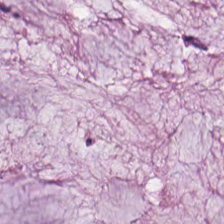Hematoxylin and eosin; 0.5 µm/px — Tissue — mucus.
